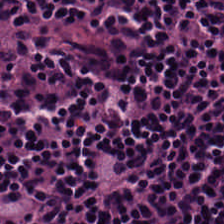Hematoxylin and eosin — This field is lymphocytes.
